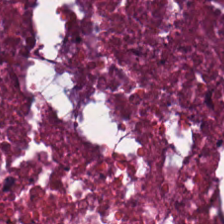224×224 pixel tile · H&E-stained tissue section.
Showing cellular debris.
